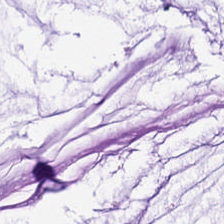H&E-stained tissue section.
Predominant tissue — mucin.
